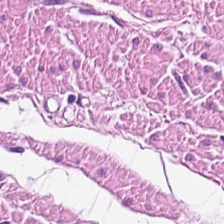Brightfield. H&E-stained tissue section. The tissue here is smooth muscle.
